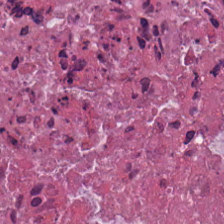Hematoxylin and eosin; FFPE. The tissue here is debris.
